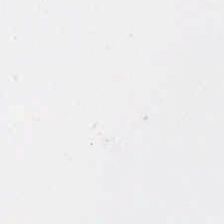H&E-stained tissue section · brightfield. No tissue present; background only.
